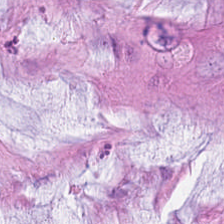Hematoxylin and eosin.
Histology — mucus.
